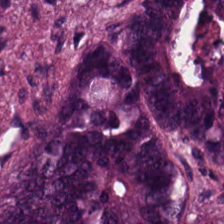0.5 µm/px. H&E. FFPE.
Predominant tissue = colorectal adenocarcinoma.
